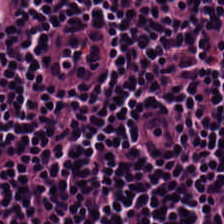Stain: hematoxylin and eosin.
Tissue: lymphocytic infiltrate.
